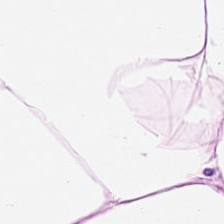H&E. Tissue — adipocytes.
